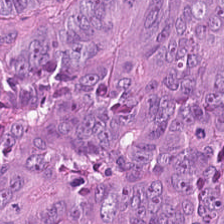H&E stain; 224×224 px tile.
Predominant tissue = colorectal adenocarcinoma.
